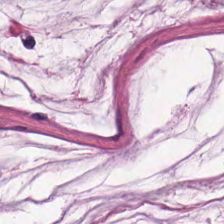224×224 px tile; hematoxylin-and-eosin stained section; 0.5 µm/px — Tissue class — mucin.
